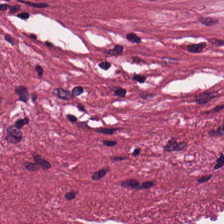Hematoxylin and eosin · 224×224 pixel tile · brightfield. This field is cancer-associated stroma.
